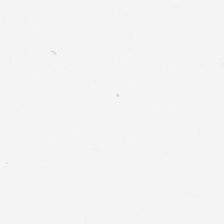H&E. No tissue present; background only.
